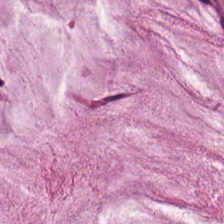Hematoxylin-and-eosin stained section.
Tissue class: extracellular mucin.
